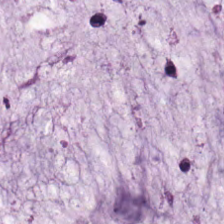The predominant tissue is mucus.
